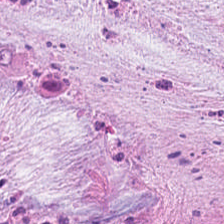Q: What type of tissue is this?
A: It is tumor stroma.
